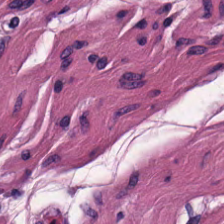0.5 µm per pixel; H&E stain — Predominantly smooth-muscle tissue.
